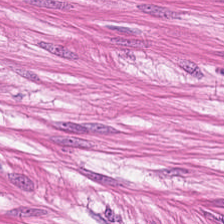H&E — smooth-muscle tissue.
